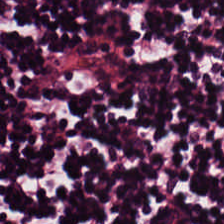Formalin-fixed paraffin-embedded section · hematoxylin-and-eosin stained section · 0.5 µm per pixel.
This field is lymphoid infiltrate.
